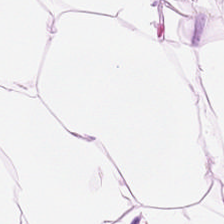{"tissue_type": "adipose"}
